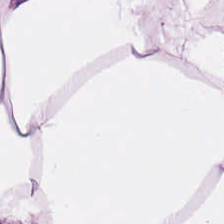0.5 µm per pixel · H&E stain. Tissue: fat tissue.
